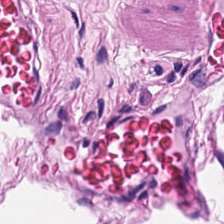Stain: hematoxylin and eosin.
Tissue class: muscularis.
